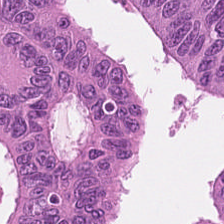Hematoxylin-and-eosin stained section. Colorectal adenocarcinoma.
